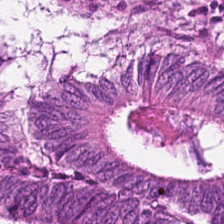Hematoxylin and eosin. Whole-slide-image patch. Showing adenocarcinoma.
